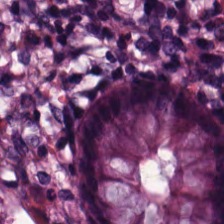H&E · 224×224 px patch.
The tissue here is non-neoplastic colon mucosa.
